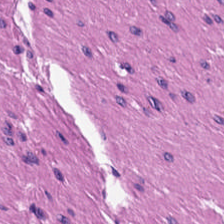224×224 px patch; 20× equivalent magnification; hematoxylin-and-eosin stained section. Histology — smooth-muscle tissue.
